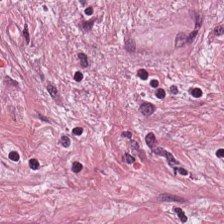Q: What tissue is shown?
A: The field shows tumor-associated stroma.
